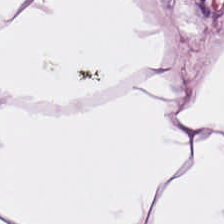H&E. Classification = adipose tissue.
